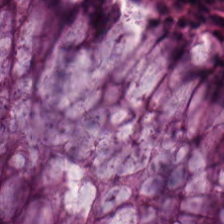The tissue here is normal colon mucosa.
